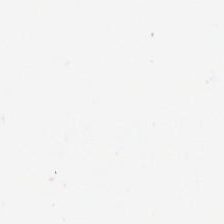Hematoxylin and eosin.
Empty field — background.
